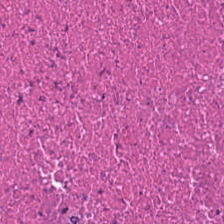WSI patch · H&E stain · 0.5 µm/px. Histology → necrotic debris.
